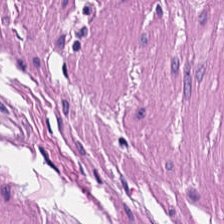H&E; brightfield.
Predominantly smooth-muscle tissue.
